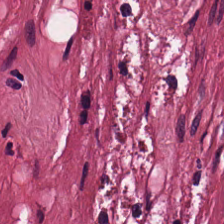H&E-stained tissue section · 0.5 microns per pixel · brightfield.
Finding — desmoplastic stroma.
